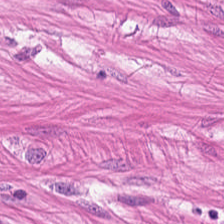0.5 µm/px. Hematoxylin-and-eosin stained section — Histology — muscularis.
